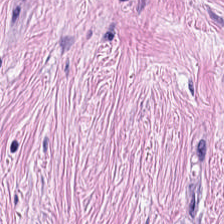H&E-stained tissue section. 224×224 px tile. Brightfield microscopy.
Q: What is shown here?
A: Tumor stroma.
